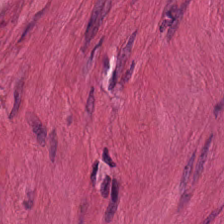Muscularis.
